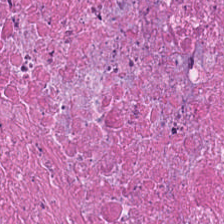Q: What type of tissue is this?
A: The field shows necrotic debris.
